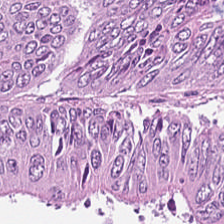Hematoxylin and eosin; 224×224 pixel tile. The predominant tissue is colorectal adenocarcinoma epithelium.
